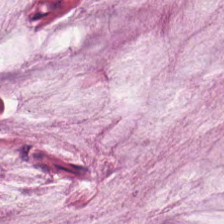224×224 px tile · hematoxylin-and-eosin stained section · FFPE — Predominantly extracellular mucin.
